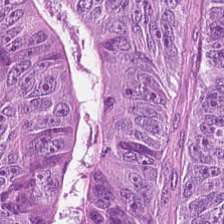Hematoxylin-and-eosin stained section. Showing malignant epithelium.
